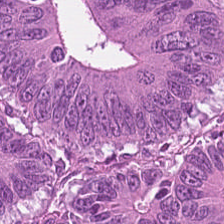Whole-slide-image patch; hematoxylin-and-eosin stained section — Predominantly adenocarcinoma.
